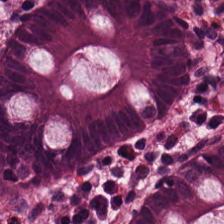Hematoxylin and eosin; FFPE tissue section.
This patch shows normal colonic mucosa.
